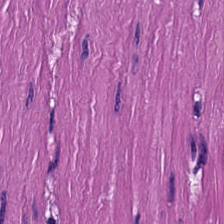0.5 microns per pixel; whole-slide-image patch; hematoxylin-and-eosin stained section. Showing smooth muscle.
